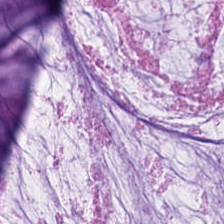Hematoxylin and eosin.
This patch shows extracellular mucin.
